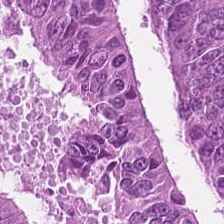Hematoxylin-and-eosin section: colorectal adenocarcinoma.
